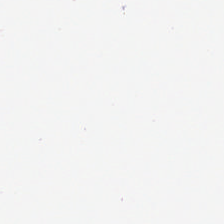Tissue = fat tissue.
